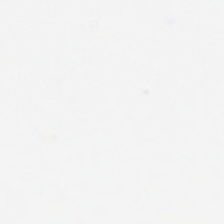The field content is no tissue.
